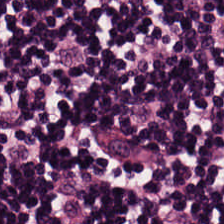Hematoxylin-and-eosin stained section; 0.5 microns per pixel — Classification — lymphocytes.
